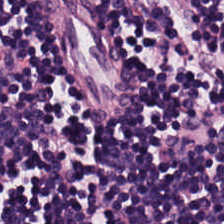Tissue = lymphocytic infiltrate.
